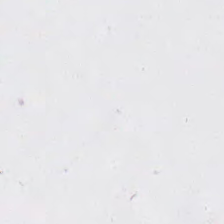H&E stain; 0.5 µm per pixel.
Background — no tissue in this field.
